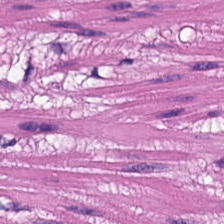0.5 µm/px; H&E.
Predominant tissue — smooth muscle.
